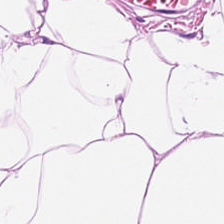Hematoxylin-and-eosin stained section · WSI patch. Q: Identify the tissue.
A: This is adipose.
